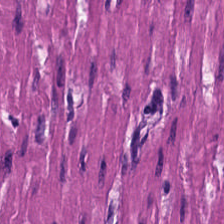0.5 µm/px. H&E-stained tissue section.
The tissue class is smooth-muscle tissue.
